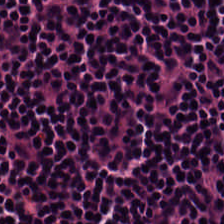Stain: hematoxylin and eosin.
Tissue class: lymphocyte aggregate.
